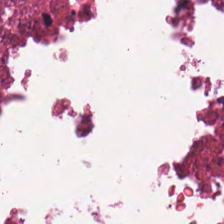Necrotic debris.
